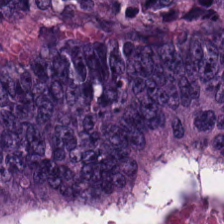Predominantly adenocarcinoma.
